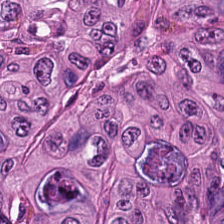Tissue type: adenocarcinoma.
